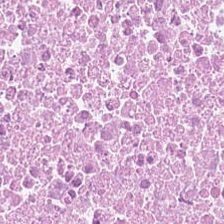H&E.
Classification: debris.
